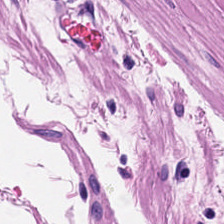This patch shows smooth muscle.
